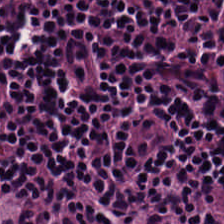H&E-stained tissue section showing lymphoid infiltrate.
